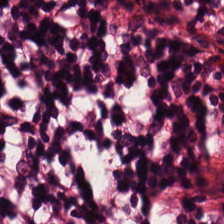Hematoxylin and eosin; whole-slide-image patch. Tissue type: lymphocytes.
